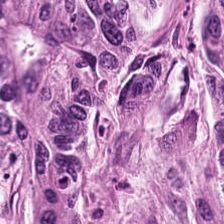Tissue class — adenocarcinoma.
